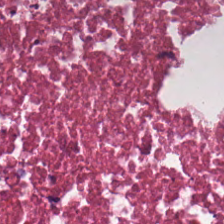{"tissue_type": "debris"}
